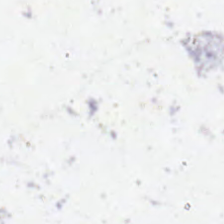Hematoxylin-and-eosin stained section. No tissue present; background only.
